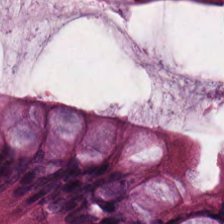Hematoxylin-and-eosin stained section · brightfield microscopy. Tissue class — normal colonic mucosa.
